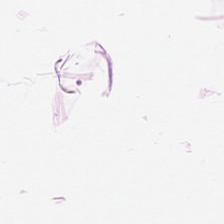20× equivalent magnification; H&E-stained tissue section; 224×224 px patch — Predominantly adipose tissue.
